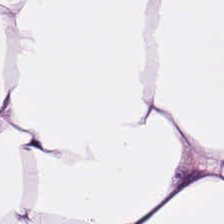Hematoxylin and eosin. Histology — fat tissue.
